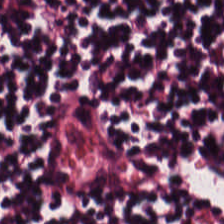WSI patch. H&E stain — Showing lymphocytic infiltrate.
